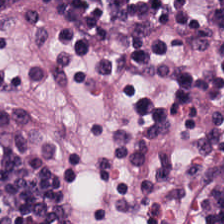H&E stain — Histology → lymphocytes.
